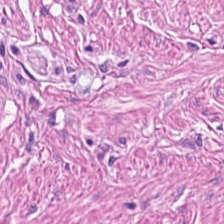0.5 microns per pixel; H&E stain — Smooth muscle.
